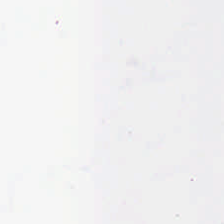H&E · 224×224 px tile — Content: background (no tissue).
